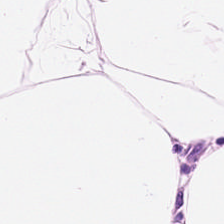H&E; brightfield microscopy; 224×224 px patch — Histology — adipose.
